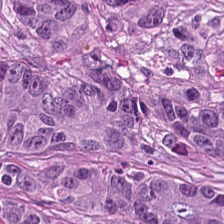Hematoxylin-and-eosin stained section.
This field is malignant epithelium.
